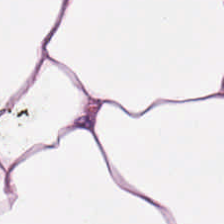H&E stain. The tissue type is adipose.
